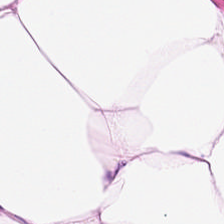H&E — Q: What is the predominant tissue type?
A: It is adipose.
